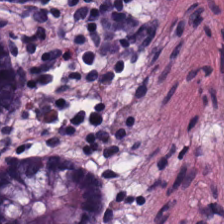Hematoxylin-and-eosin stained section. Tissue type = normal colonic mucosa.
